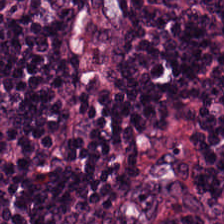224×224 px tile · hematoxylin-and-eosin stained section · brightfield. Tissue — lymphoid infiltrate.
